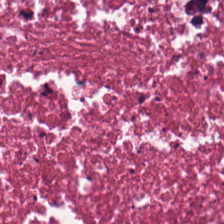H&E stain. {"tissue_type": "cellular debris"}
